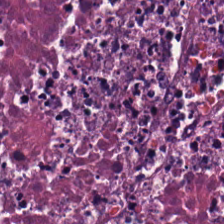H&E — Predominantly debris.
